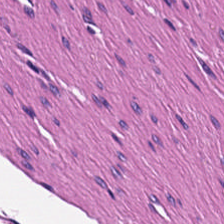WSI patch; 20× equivalent magnification; H&E stain.
Muscularis.
